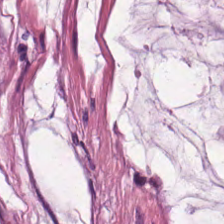Brightfield microscopy. H&E-stained tissue section. This field is extracellular mucin.
